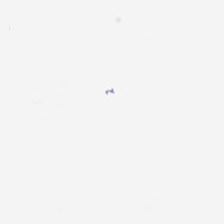H&E.
Q: What is shown in this field?
A: It is background.
